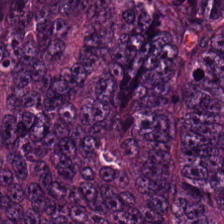Hematoxylin and eosin.
Tumor epithelium.
